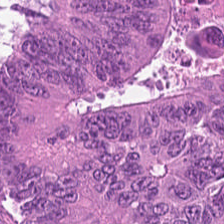Predominant tissue: colorectal adenocarcinoma epithelium.
